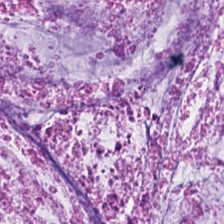H&E. Q: What is shown in this field?
A: This is mucus.
